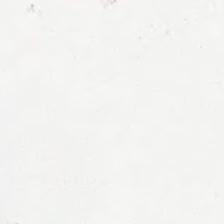0.5 µm/px; hematoxylin-and-eosin stained section. Classification = background (no tissue).
